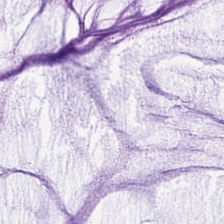H&E stain · FFPE. Showing extracellular mucin.
